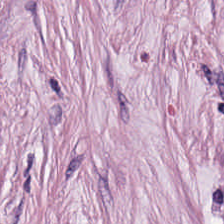{"tissue_type": "tumor-associated stroma"}
